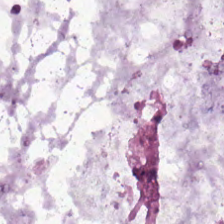H&E stain · brightfield microscopy · formalin-fixed paraffin-embedded section.
Tissue type: mucus.
